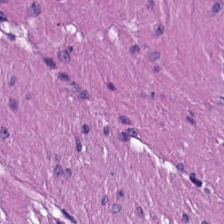H&E stain — This field is smooth-muscle tissue.
